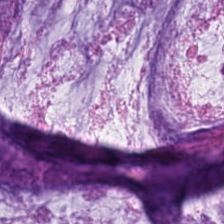Hematoxylin-and-eosin stained section.
This field is extracellular mucin.
